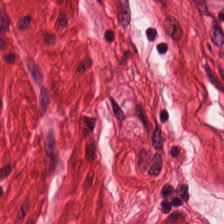Hematoxylin-and-eosin stained section. Histology → smooth-muscle tissue.
